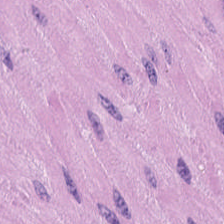H&E; formalin-fixed paraffin-embedded section — Histology — muscularis.
